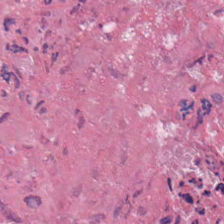Hematoxylin and eosin · 224×224 pixel tile · FFPE.
The tissue here is debris.
